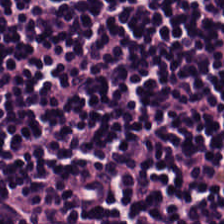H&E-stained tissue section. The predominant tissue is lymphoid infiltrate.
